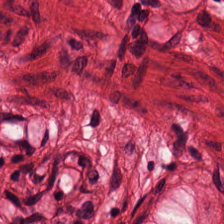WSI patch · FFPE · H&E-stained tissue section — Tissue class: muscularis.
